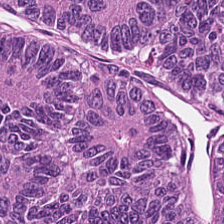Showing colorectal adenocarcinoma.
